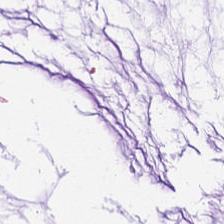Formalin-fixed paraffin-embedded section; hematoxylin-and-eosin stained section — Predominant tissue — extracellular mucin.
